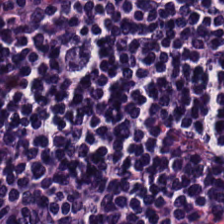This field is lymphocyte aggregate.
